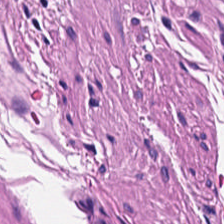Hematoxylin and eosin. Smooth-muscle tissue.
